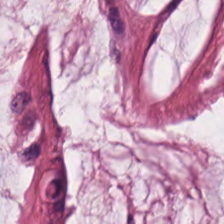Hematoxylin and eosin. 224×224 pixel tile. 0.5 µm per pixel.
This patch shows mucus.
